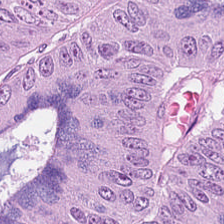H&E-stained tissue section — Classification = colorectal adenocarcinoma.
